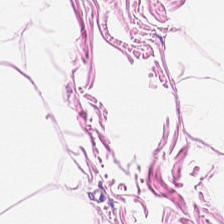Stain: hematoxylin-and-eosin stained section.
Tissue class: adipocytes.
